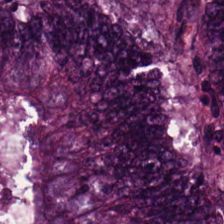Hematoxylin and eosin; 224×224 px tile — Predominantly tumor epithelium.
